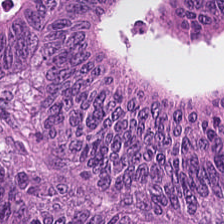Hematoxylin-and-eosin stained section.
The tissue type is adenocarcinoma.
